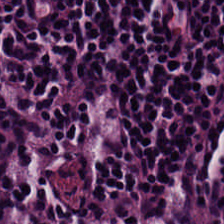H&E patch showing lymphocyte aggregate.
